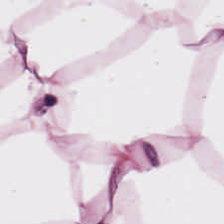Stain: hematoxylin-and-eosin stained section.
Classification: fat tissue.
